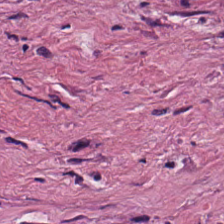H&E. FFPE — The tissue here is desmoplastic stroma.
